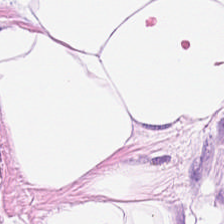H&E patch showing fat tissue.
